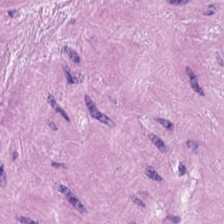Hematoxylin-and-eosin stained section. The predominant tissue is muscularis.
